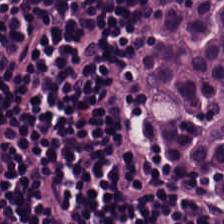Stain: hematoxylin-and-eosin stained section.
Acquisition: whole-slide-image patch.
Tissue: lymphocyte aggregate.
